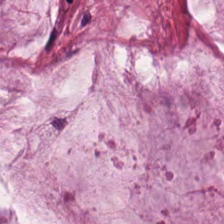H&E-stained tissue section — Q: What does this patch show?
A: This is extracellular mucin.
